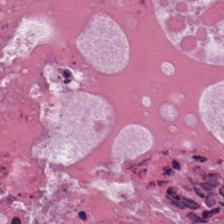Hematoxylin-and-eosin stained section. Brightfield — Cellular debris.
